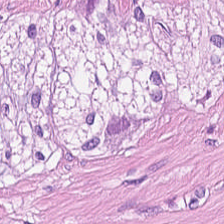H&E. Impression → smooth-muscle tissue.
